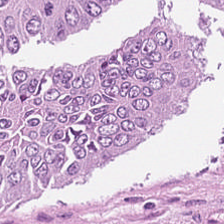H&E-stained tissue section. Predominantly colorectal adenocarcinoma epithelium.
